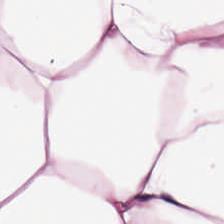0.5 µm/px · hematoxylin-and-eosin stained section · formalin-fixed paraffin-embedded section. Q: Classify this patch.
A: This is adipose tissue.
